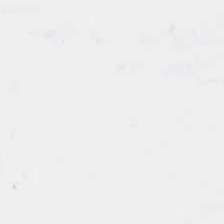{"content": "no tissue"}
